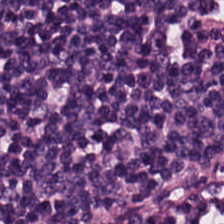Whole-slide-image patch. H&E-stained tissue section. FFPE tissue section.
Tissue type — lymphocyte aggregate.
